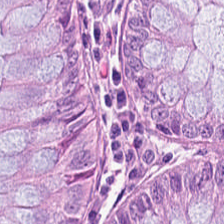Hematoxylin-and-eosin stained section. Tissue class = benign colonic mucosa.
